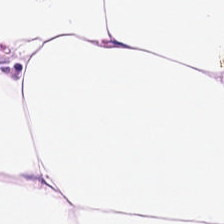Hematoxylin-and-eosin section: fat tissue.
